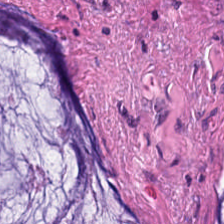Stain: hematoxylin-and-eosin stained section.
Tissue type: extracellular mucin.
